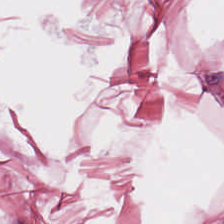Q: Classify this patch.
A: This is fat tissue.
